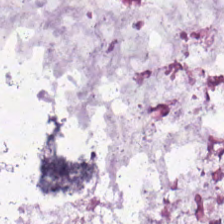H&E. 224×224 pixel tile. {"tissue_type": "extracellular mucin"}
